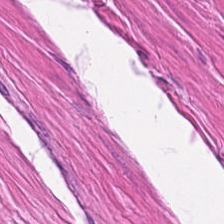20× equivalent magnification · FFPE tissue section · hematoxylin-and-eosin stained section — Q: What tissue is shown?
A: Smooth-muscle tissue.
